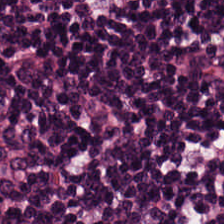{"tissue_type": "lymphoid infiltrate"}
